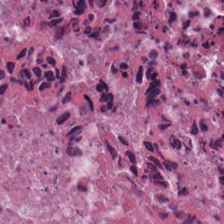This field is debris.
